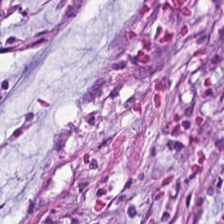Hematoxylin and eosin.
Tumor stroma.
